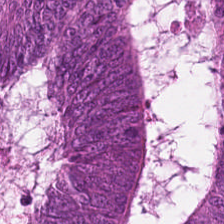H&E stain · WSI patch. Histology → colorectal adenocarcinoma.
